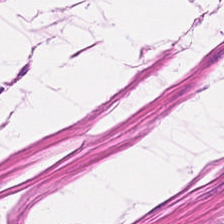Stain: H&E stain.
Classification: smooth-muscle tissue.
